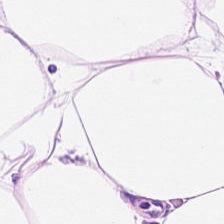H&E-stained section; the field shows fat tissue.
